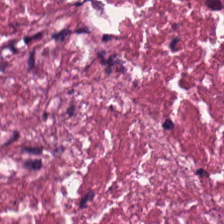H&E. 20× equivalent magnification.
The predominant tissue is cellular debris.
